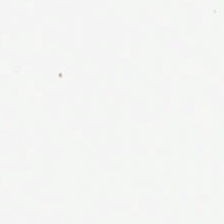Q: What does this patch show?
A: It is no tissue.
